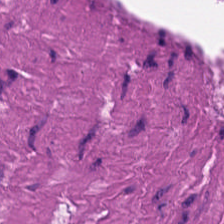The tissue is muscularis.
